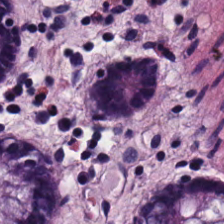Formalin-fixed paraffin-embedded section · hematoxylin-and-eosin stained section. Predominant tissue = normal colonic mucosa.
